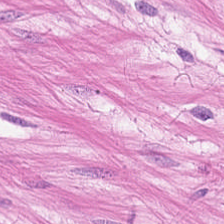H&E-stained tissue section — Predominantly muscularis.
